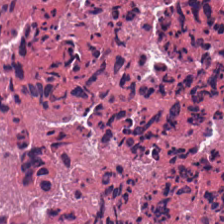Finding → debris.
